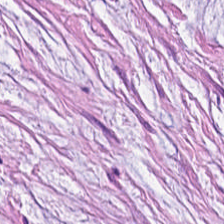FFPE; 224×224 pixel tile; H&E. This patch shows mucin.
